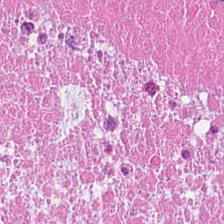Hematoxylin-and-eosin section: debris.
